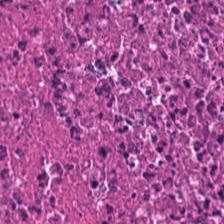Hematoxylin and eosin. The predominant tissue is debris.
